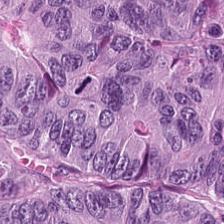0.5 microns per pixel; hematoxylin and eosin; whole-slide-image patch.
Tumor epithelium.
